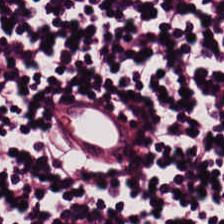H&E stain — The tissue class is lymphocyte aggregate.
